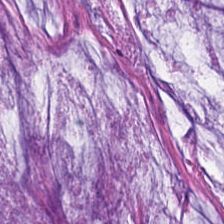Stain: H&E-stained tissue section.
Tissue class: mucus.
